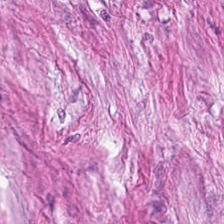H&E — Classification = tumor stroma.
